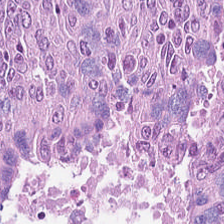Hematoxylin-and-eosin stained section · FFPE tissue section — Histology — adenocarcinoma.
